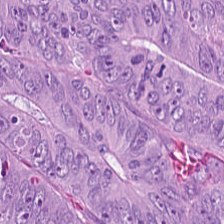Finding — colorectal adenocarcinoma epithelium.
